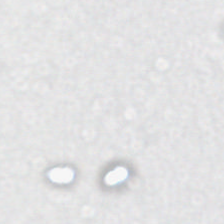0.5 µm/px. H&E stain — Field content: no tissue.
